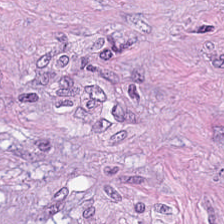Stain: hematoxylin and eosin.
Preparation: FFPE.
Predominant tissue: desmoplastic stroma.
